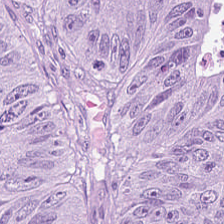H&E. The tissue here is adenocarcinoma.
